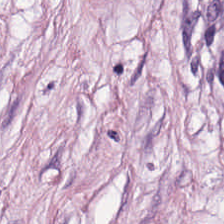H&E — Q: What does this patch show?
A: The field shows cancer-associated stroma.
